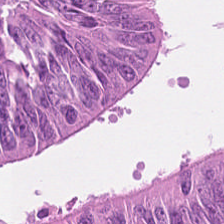H&E stain — Predominantly malignant epithelium.
